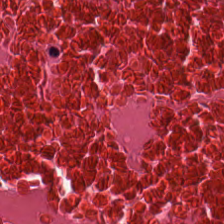Predominantly necrotic debris.
